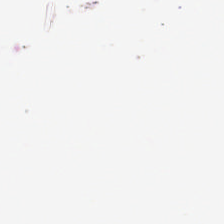0.5 microns per pixel; hematoxylin and eosin. Classification: background.
